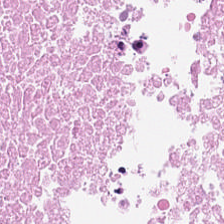H&E; 224×224 px tile — Tissue class = necrotic debris.
